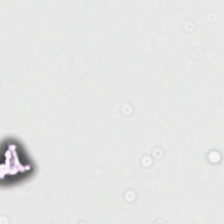Hematoxylin and eosin. 20× equivalent magnification. Content: empty background.
